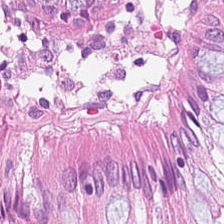Hematoxylin and eosin. Tissue: benign colonic mucosa.
